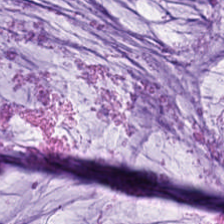H&E; 0.5 µm per pixel — Mucus.
